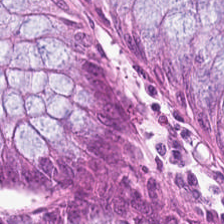H&E stain; 0.5 µm/px — Predominant tissue: non-neoplastic colon mucosa.
